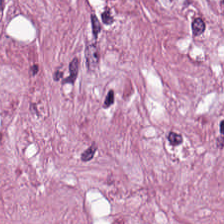H&E-stained tissue section. This patch shows cancer-associated stroma.
